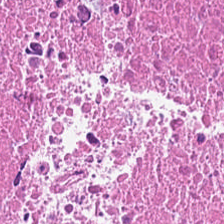H&E stain — Showing necrotic debris.
